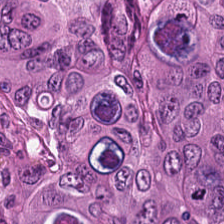H&E-stained tissue section.
The tissue here is colorectal adenocarcinoma.
